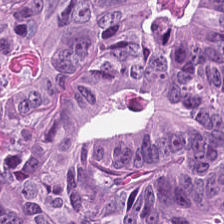Histology — adenocarcinoma.
